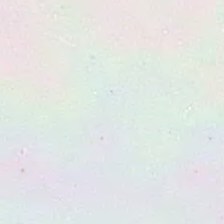H&E; brightfield; FFPE tissue section — Background — no tissue in this field.
